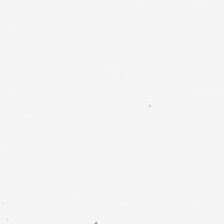Hematoxylin-and-eosin stained section. Background — no tissue in this field.
